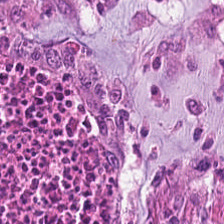H&E-stained section; the field shows tumor epithelium.
